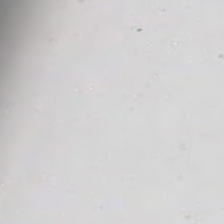Histology — no tissue.
